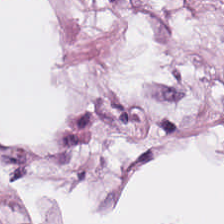H&E stain — Showing adipocytes.
